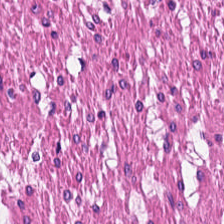Q: What is the predominant tissue type?
A: Smooth-muscle tissue.
